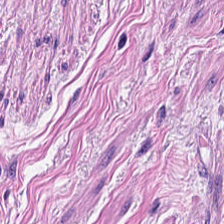FFPE; H&E-stained tissue section.
Finding — muscularis.
